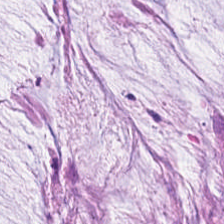Hematoxylin and eosin. The classification is extracellular mucin.
